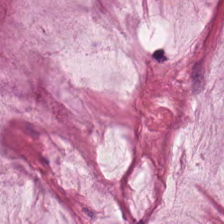Stain: hematoxylin and eosin.
Tissue: mucus.
